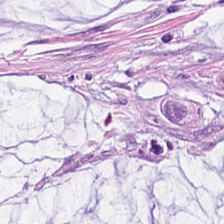H&E — The classification is extracellular mucin.
